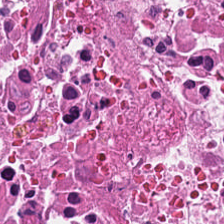0.5 microns per pixel. Whole-slide-image patch. H&E-stained tissue section. This patch shows debris.
